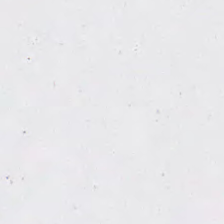Hematoxylin and eosin.
Q: What is shown in this field?
A: It is background.
